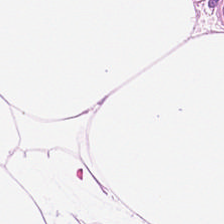H&E stain. Finding → fat tissue.
